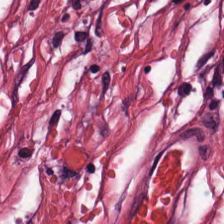H&E-stained tissue section showing cancer-associated stroma.
